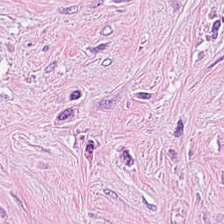H&E stain — Q: Identify the tissue.
A: The field shows desmoplastic stroma.
